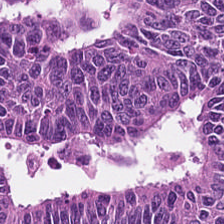H&E stain. Malignant epithelium.
